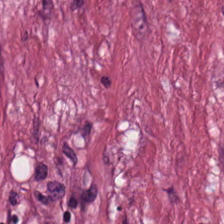This field is desmoplastic stroma.
